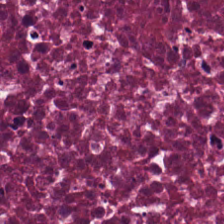Hematoxylin-and-eosin section: cellular debris.
